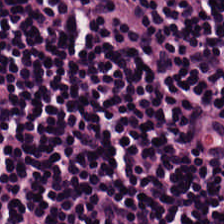Hematoxylin and eosin; formalin-fixed paraffin-embedded section; 224×224 px tile. The tissue type is lymphocyte aggregate.
